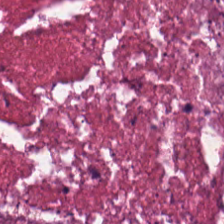Hematoxylin-and-eosin stained section.
Debris.
